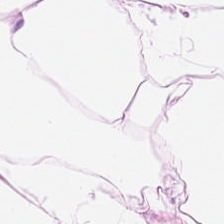This field is adipose.
